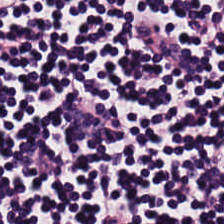Q: What is shown here?
A: Lymphocytes.
